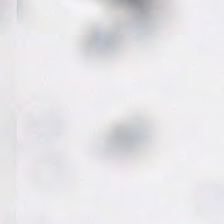Field content: empty background.
